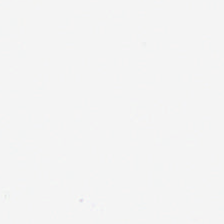H&E stain.
Histology → background (no tissue).
